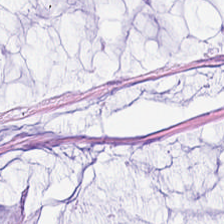H&E · FFPE.
Histology — mucus.
